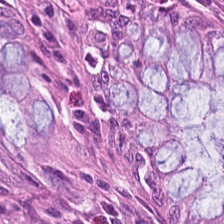Formalin-fixed paraffin-embedded section. H&E-stained tissue section. 0.5 microns per pixel.
Q: What tissue type is shown here?
A: It is normal colon mucosa.
